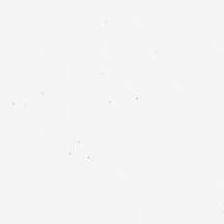FFPE tissue section; hematoxylin and eosin.
Impression → background (no tissue).
